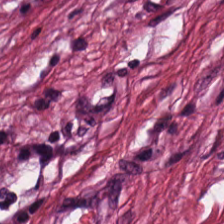Brightfield; formalin-fixed paraffin-embedded section; H&E. Tissue class = tumor-associated stroma.
